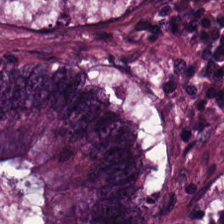Hematoxylin-and-eosin stained section. Predominantly tumor epithelium.
